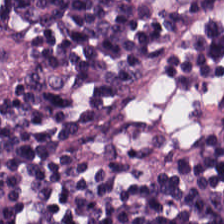Tissue — lymphocytes.
